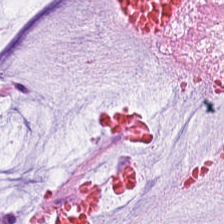Q: What tissue type is shown here?
A: The field shows mucus.
